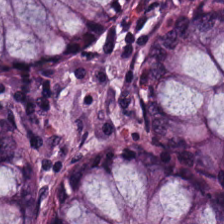Stain: H&E.
Classification: normal colonic mucosa.
